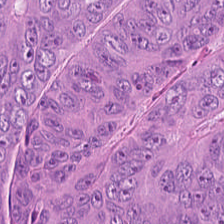Hematoxylin and eosin. Showing malignant epithelium.
